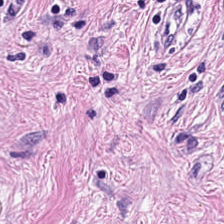Hematoxylin and eosin. This patch shows cancer-associated stroma.
